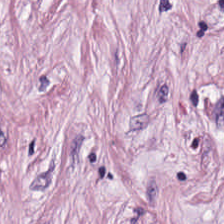FFPE tissue section; H&E-stained tissue section. Tissue: cancer-associated stroma.
